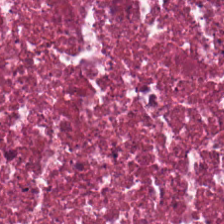H&E-stained tissue section — The tissue here is cellular debris.
